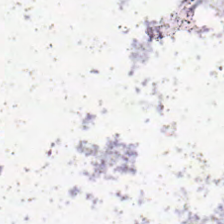Hematoxylin-and-eosin stained section. Background — no tissue in this field.
